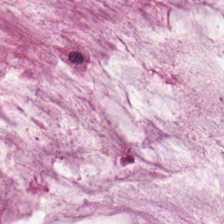Hematoxylin and eosin · FFPE tissue section.
Impression → mucus.
